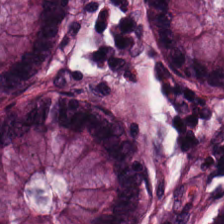Hematoxylin-and-eosin stained section — Impression → normal colonic mucosa.
